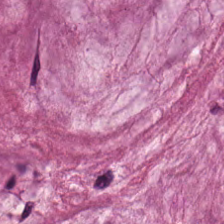224×224 px tile. Hematoxylin and eosin. Formalin-fixed paraffin-embedded section.
Predominant tissue: mucin.
